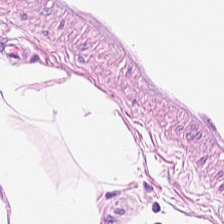Predominant tissue = adipose tissue.
